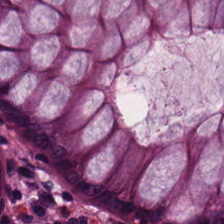Hematoxylin-and-eosin stained section — Tissue = normal colonic mucosa.
